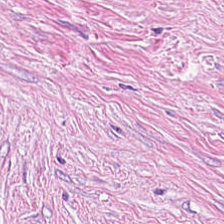H&E-stained tissue section — Tissue — desmoplastic stroma.
